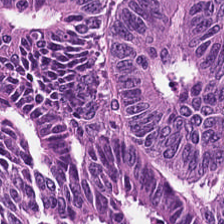Stain: hematoxylin-and-eosin stained section.
Tissue class: tumor epithelium.
